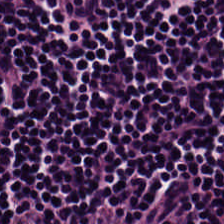The tissue is lymphocytes.
